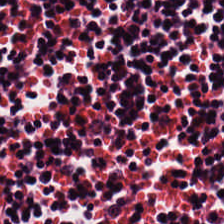Hematoxylin and eosin. 224×224 px patch.
Histology → lymphocytes.
